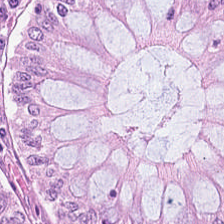Stain: H&E-stained tissue section.
Tile size: 224×224 pixel tile.
Acquisition: brightfield microscopy.
Tissue: non-neoplastic colon mucosa.
